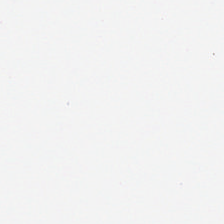H&E — The classification is no tissue.
